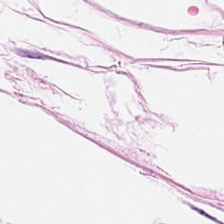Q: Identify the tissue.
A: This is adipocytes.
